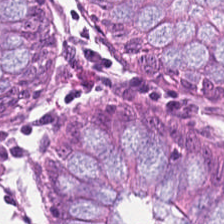224×224 px patch. Hematoxylin and eosin. 0.5 microns per pixel — Tissue type = non-neoplastic colon mucosa.
